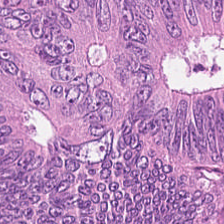Hematoxylin-and-eosin stained section. The tissue class is tumor epithelium.
